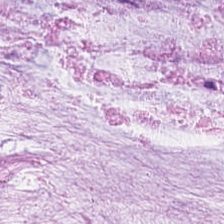Stain: H&E-stained tissue section.
Acquisition: brightfield.
Tissue type: extracellular mucin.
